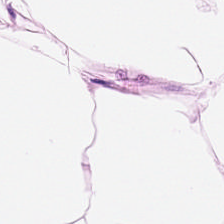Hematoxylin and eosin.
This patch shows fat tissue.
